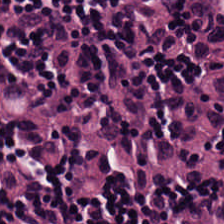H&E-stained tissue section. 224×224 px patch.
Tissue type = lymphocytes.
